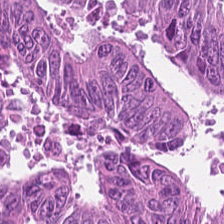0.5 µm per pixel. Hematoxylin and eosin.
Q: Classify this patch.
A: This is adenocarcinoma.
